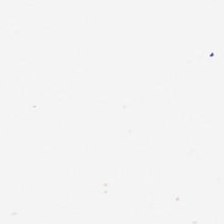Brightfield; H&E stain — {"content": "background"}
